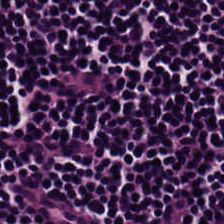Hematoxylin and eosin. 224×224 pixel tile. This field is lymphocytes.
